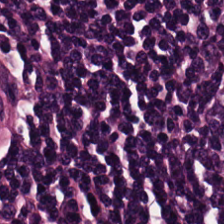0.5 microns per pixel · 224×224 pixel tile · H&E — The classification is lymphocytic infiltrate.
